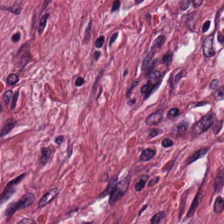Q: Identify the tissue.
A: This is tumor-associated stroma.
